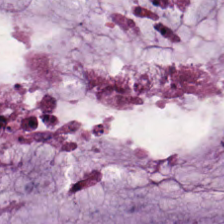Stain: hematoxylin and eosin.
Acquisition: WSI patch.
Preparation: FFPE tissue section.
Tissue type: mucus.
